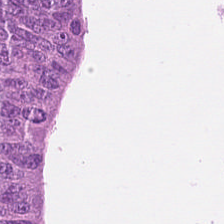H&E; 224×224 pixel tile. Classification — malignant epithelium.
